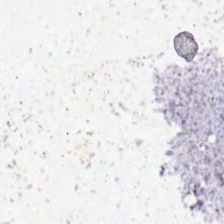0.5 microns per pixel; 224×224 pixel tile; H&E-stained tissue section — Background — no tissue in this field.
